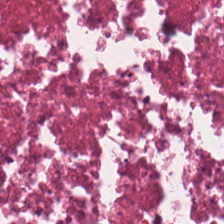Stain: H&E.
Tile size: 224×224 px patch.
Preparation: FFPE.
Tissue type: debris.
